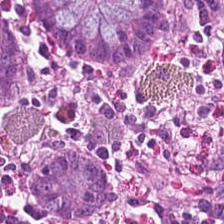Hematoxylin-and-eosin stained section. Showing non-neoplastic colon mucosa.
